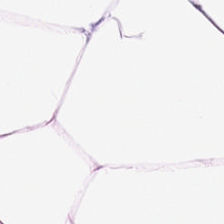H&E-stained tissue section · FFPE. Finding → adipose.
